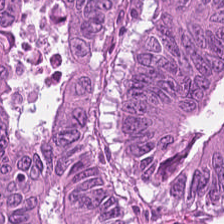Hematoxylin-and-eosin stained section — Histology → colorectal adenocarcinoma.
